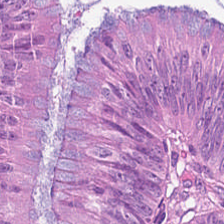H&E patch showing malignant epithelium.
